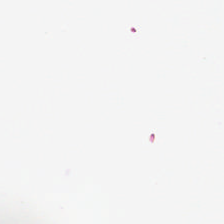FFPE tissue section; hematoxylin and eosin; 0.5 µm/px.
Background (no tissue).
